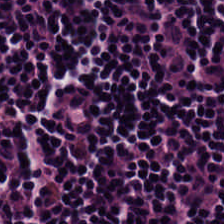Hematoxylin and eosin · brightfield.
The predominant tissue is lymphocyte aggregate.
